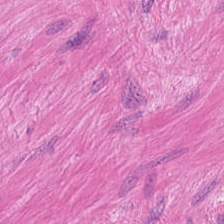H&E · FFPE tissue section — The classification is smooth-muscle tissue.
